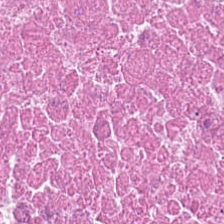The predominant tissue is debris.
